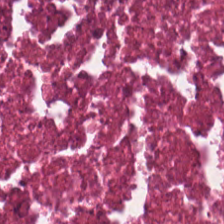Whole-slide-image patch · H&E stain · FFPE tissue section. The classification is cellular debris.
